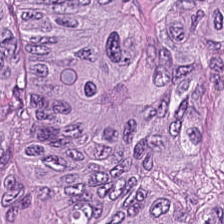FFPE tissue section; H&E stain. Tissue class: tumor epithelium.
